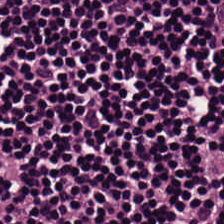Hematoxylin-and-eosin stained section. The tissue here is lymphoid infiltrate.
